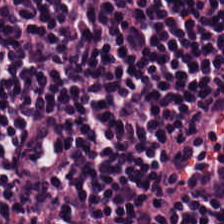Lymphocyte aggregate.
